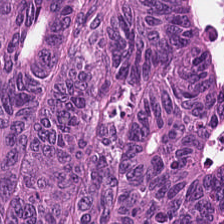H&E patch showing tumor epithelium.
